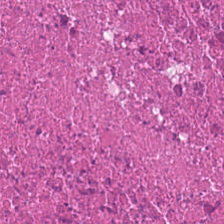H&E-stained tissue section. Q: Classify this patch.
A: It is necrotic debris.
